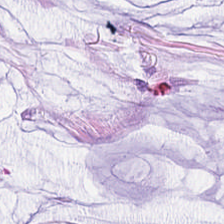H&E. The tissue here is mucus.
